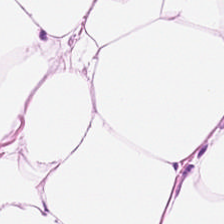Hematoxylin and eosin. Tissue type: adipocytes.
